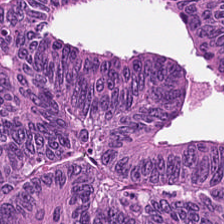0.5 µm/px. H&E-stained tissue section. Formalin-fixed paraffin-embedded section — This patch shows malignant epithelium.
